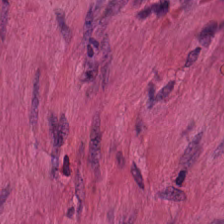H&E-stained tissue section; FFPE; 0.5 µm per pixel. Predominant tissue = muscularis.
